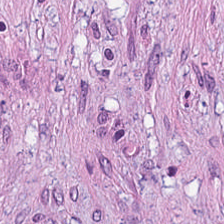224×224 px tile. Brightfield. H&E-stained tissue section.
The classification is desmoplastic stroma.
